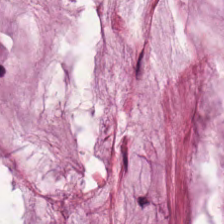Tissue = extracellular mucin.
